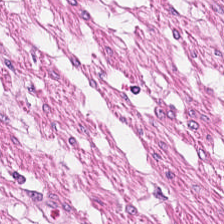Hematoxylin-and-eosin stained section — Finding — muscularis.
